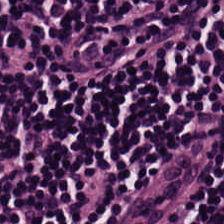Classification: lymphocytic infiltrate.
